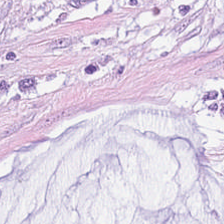Tissue = mucin.
